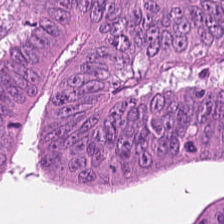WSI patch. Hematoxylin-and-eosin stained section — Q: What is the predominant tissue type?
A: Colorectal adenocarcinoma epithelium.
